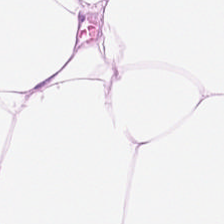This patch shows adipose tissue.
